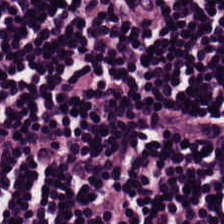H&E-stained tissue section. 224×224 px tile.
Predominant tissue — lymphoid infiltrate.
